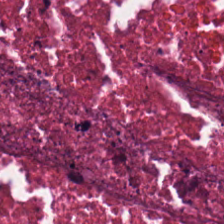Whole-slide-image patch; 224×224 pixel tile; H&E-stained tissue section.
Impression — cellular debris.
